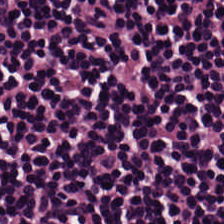H&E stain. The tissue here is lymphocyte aggregate.
